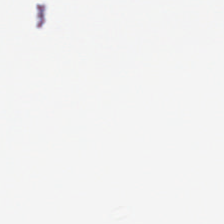224×224 pixel tile; brightfield; H&E.
Histology — empty background.
